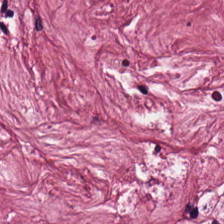Predominantly desmoplastic stroma.
